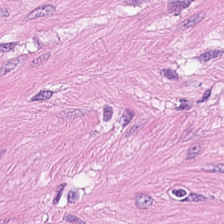Hematoxylin and eosin. FFPE — Showing smooth-muscle tissue.
